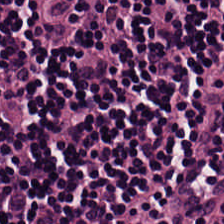The predominant tissue is lymphoid infiltrate.
